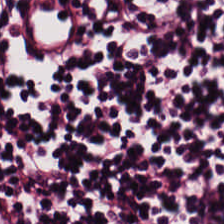WSI patch. Hematoxylin-and-eosin stained section. 0.5 µm per pixel — Tissue = lymphoid infiltrate.
